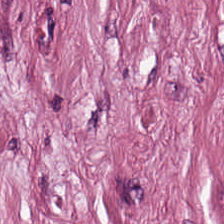Classification — tumor-associated stroma.
